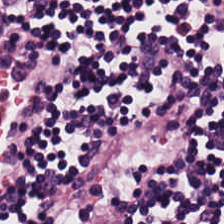Hematoxylin-and-eosin stained section — Predominant tissue = lymphoid infiltrate.
